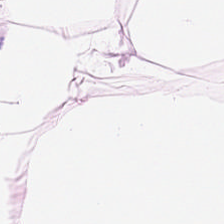Hematoxylin-and-eosin stained section. This patch shows adipose tissue.
